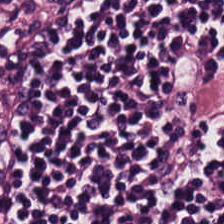H&E · 0.5 µm/px · FFPE. The tissue is lymphocyte aggregate.
